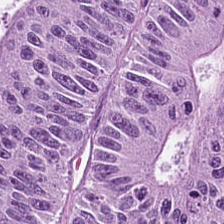Hematoxylin-and-eosin stained section · FFPE tissue section — Tissue — colorectal adenocarcinoma epithelium.
